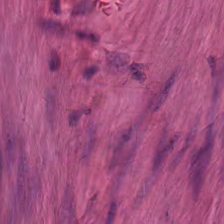H&E-stained section; the field shows smooth-muscle tissue.
